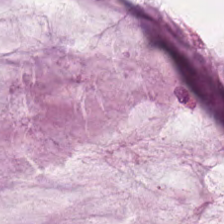H&E. This patch shows extracellular mucin.
